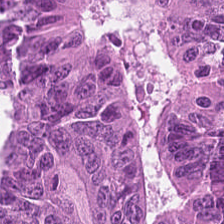0.5 µm/px. H&E. 224×224 pixel tile.
Q: Classify this patch.
A: Colorectal adenocarcinoma epithelium.
